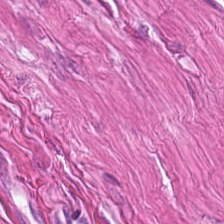H&E-stained tissue section. The tissue class is smooth muscle.
